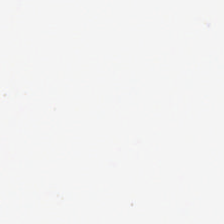H&E-stained tissue section — Field content — empty background.
